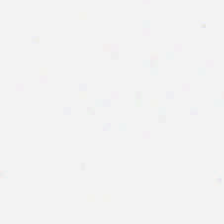Background.
